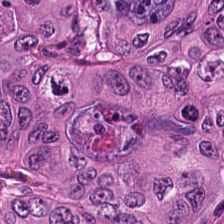Hematoxylin-and-eosin section: malignant epithelium.
